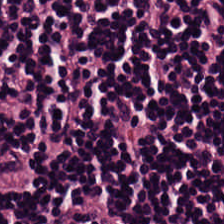Lymphocytes.
